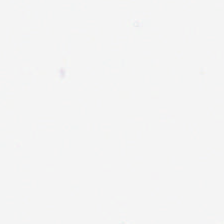Stain: H&E stain.
Classification: no tissue.
